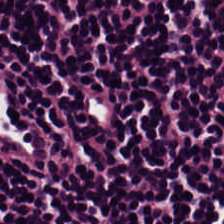H&E stain. FFPE tissue section. 224×224 pixel tile — Impression — lymphoid infiltrate.
